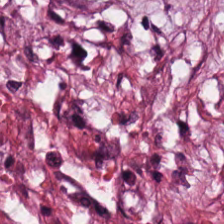H&E stain.
Tissue type = tumor stroma.
